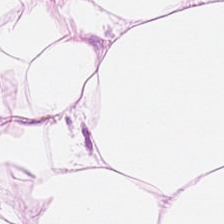H&E stain. Q: What is shown here?
A: The field shows adipocytes.
